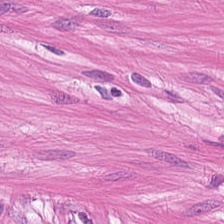224×224 pixel tile · H&E stain.
Predominantly smooth-muscle tissue.
